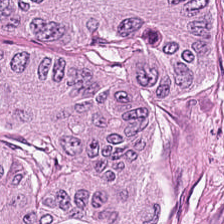Q: What type of tissue is this?
A: It is tumor epithelium.
